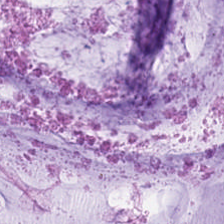Stain: H&E.
Tissue type: extracellular mucin.
